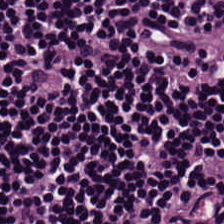Showing lymphoid infiltrate.
